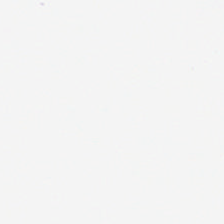0.5 µm per pixel · H&E stain — {"content": "background (no tissue)"}
